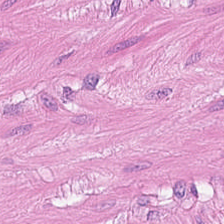0.5 microns per pixel. H&E stain. Showing smooth-muscle tissue.
